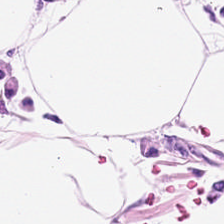H&E-stained tissue section — Finding → fat tissue.
